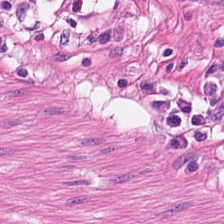H&E. 0.5 microns per pixel. Q: What is shown in this field?
A: It is muscularis.
